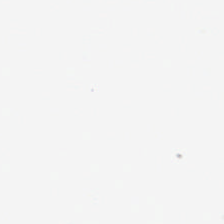H&E-stained tissue section. Field content = background.
